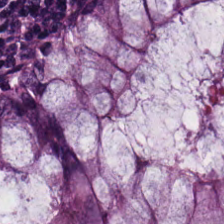H&E-stained section; the field shows non-neoplastic colon mucosa.
